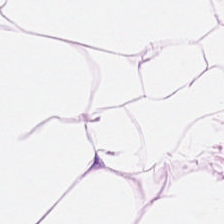224×224 pixel tile · hematoxylin and eosin · 20× equivalent magnification.
Histology — fat tissue.
